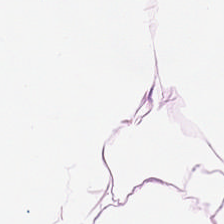Stain: hematoxylin and eosin.
Tissue: adipose.
